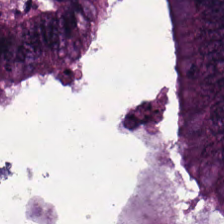{"tissue_type": "colorectal adenocarcinoma"}
